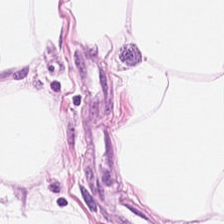Hematoxylin and eosin; 224×224 px patch — Showing adipose.
